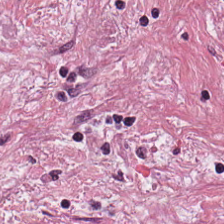Stain: hematoxylin and eosin.
Resolution: 20× equivalent magnification.
Acquisition: brightfield.
Tissue: cancer-associated stroma.
